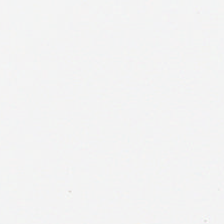Stain: H&E stain.
Classification: empty background.
